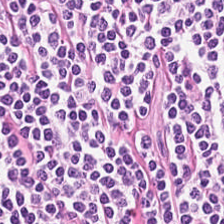H&E-stained section; the field shows lymphocytic infiltrate.
